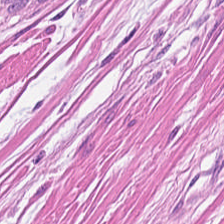H&E stain. Showing muscularis.
